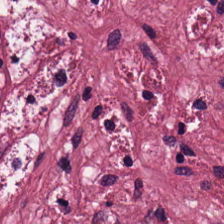Tissue type = desmoplastic stroma.
